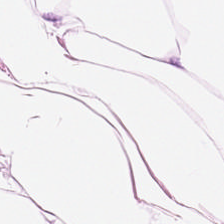Impression — adipose.
